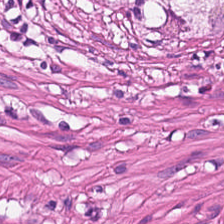Hematoxylin-and-eosin stained section.
This patch shows muscularis.
